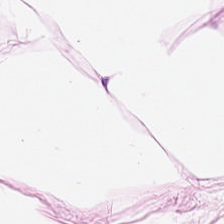H&E patch showing adipose tissue.
